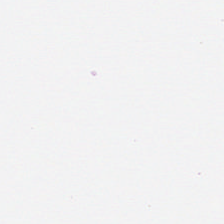H&E — Content: background (no tissue).
